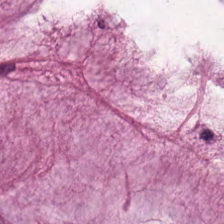Whole-slide-image patch; hematoxylin-and-eosin stained section — Q: Classify this patch.
A: The field shows mucus.
